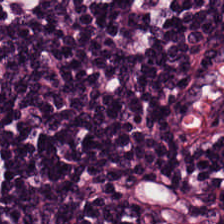0.5 microns per pixel; hematoxylin-and-eosin stained section.
Lymphoid infiltrate.
